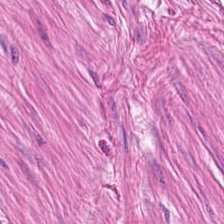WSI patch. H&E stain.
{"tissue_type": "muscularis"}
